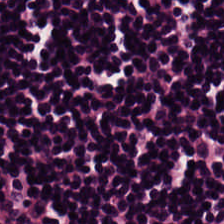Formalin-fixed paraffin-embedded section; 0.5 µm/px; hematoxylin and eosin — Predominant tissue — lymphoid infiltrate.
